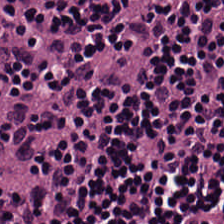H&E-stained tissue section — Tissue = lymphocytic infiltrate.
